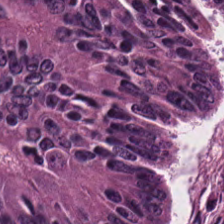Hematoxylin-and-eosin stained section — Tumor epithelium.
